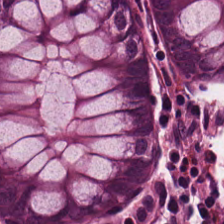H&E stain. Predominantly benign colonic mucosa.
